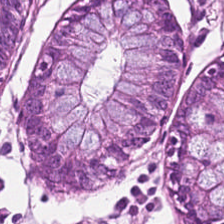Q: What tissue is shown?
A: It is non-neoplastic colon mucosa.
